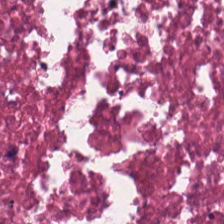Stain: H&E-stained tissue section.
Tissue type: necrotic debris.
